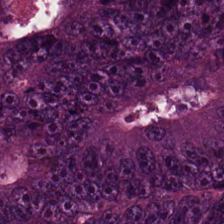Q: What type of tissue is this?
A: The field shows tumor epithelium.
